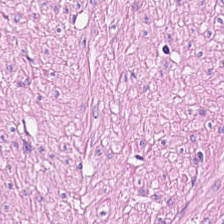H&E-stained tissue section showing muscularis.
